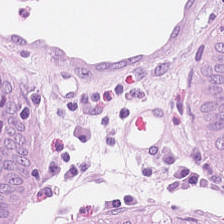Hematoxylin-and-eosin stained section; 0.5 microns per pixel; FFPE tissue section. Tissue — non-neoplastic colon mucosa.
